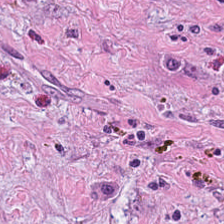Hematoxylin-and-eosin stained section.
This field is tumor stroma.
